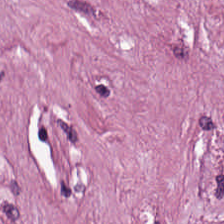Hematoxylin and eosin.
The tissue here is desmoplastic stroma.
